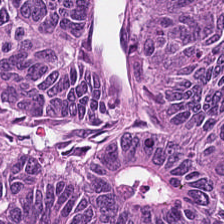Hematoxylin-and-eosin stained section; brightfield; 0.5 µm/px.
This patch shows colorectal adenocarcinoma epithelium.
